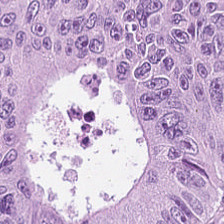{"tissue_type": "malignant epithelium"}
